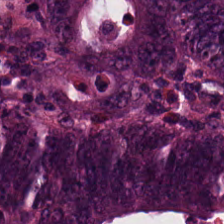Hematoxylin and eosin; WSI patch — Predominantly tumor epithelium.
